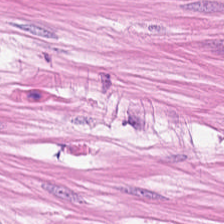Stain: H&E-stained tissue section.
Acquisition: brightfield microscopy.
Classification: muscularis.
